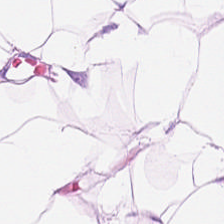Stain: H&E stain.
Tissue class: adipocytes.
